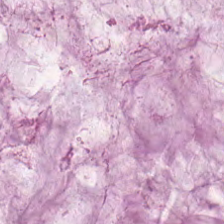Formalin-fixed paraffin-embedded section; H&E stain. Tissue type = extracellular mucin.
